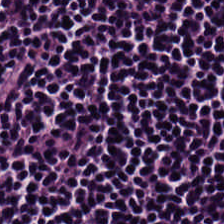Tissue type — lymphocytes.
